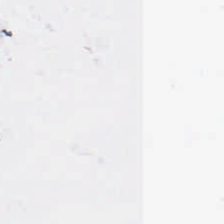WSI patch · 224×224 px tile · hematoxylin and eosin.
Background — no tissue in this field.
